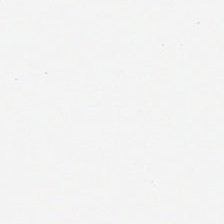224×224 pixel tile. H&E stain — Predominantly fat tissue.
